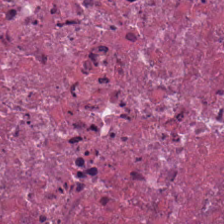Hematoxylin and eosin · 0.5 µm per pixel · FFPE — The tissue type is necrotic debris.
